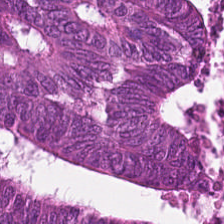Whole-slide-image patch · H&E — Q: What is shown here?
A: This is malignant epithelium.
